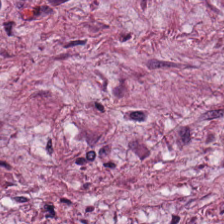Tissue type = desmoplastic stroma.
